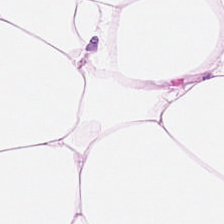H&E-stained tissue section. 224×224 px tile — The predominant tissue is fat tissue.
